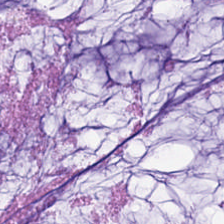Tissue: mucin.
